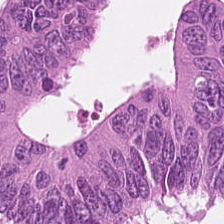Hematoxylin and eosin. 0.5 µm/px.
This patch shows tumor epithelium.
